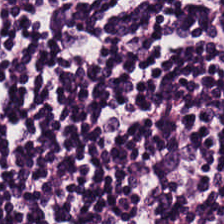Hematoxylin and eosin — Q: What is shown here?
A: This is lymphoid infiltrate.
